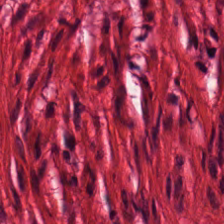Hematoxylin-and-eosin stained section; 224×224 px tile; 0.5 microns per pixel — The predominant tissue is smooth muscle.
